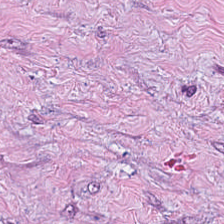Q: What does this patch show?
A: Tumor-associated stroma.
